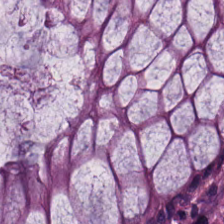Hematoxylin-and-eosin stained section — The tissue type is normal colon mucosa.
